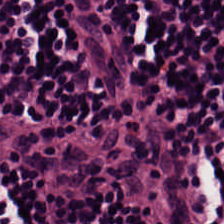Hematoxylin-and-eosin stained section. FFPE.
Showing lymphocyte aggregate.
